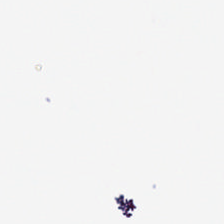0.5 microns per pixel. Hematoxylin-and-eosin stained section. Background — no tissue in this field.
